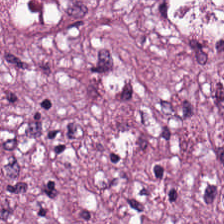FFPE · hematoxylin and eosin · 224×224 px patch — Q: What does this patch show?
A: Tumor stroma.
